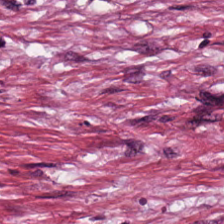Formalin-fixed paraffin-embedded section; whole-slide-image patch; H&E stain. Showing tumor-associated stroma.
